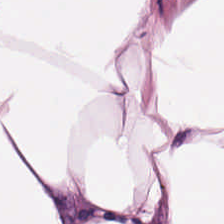Tissue = adipose.
